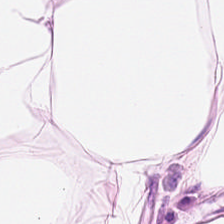Stain: H&E stain.
Tissue: fat tissue.
